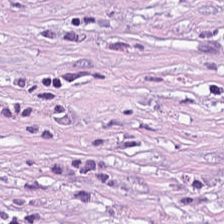Desmoplastic stroma.
